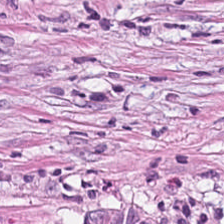The tissue class is desmoplastic stroma.
